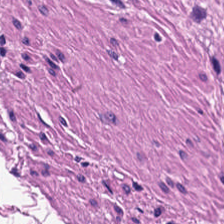Q: What tissue is shown?
A: This is muscularis.
